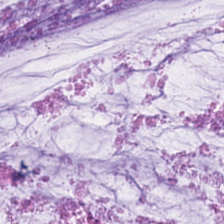Classification — mucus.
